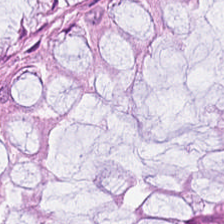20× equivalent magnification; H&E; 224×224 px tile — Impression — benign colonic mucosa.
